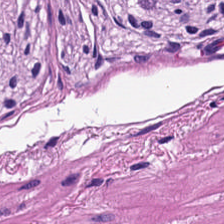Brightfield microscopy · H&E.
Q: What is shown in this field?
A: It is muscularis.
